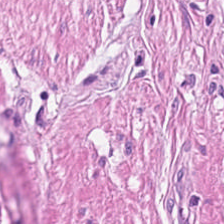Tissue class = smooth-muscle tissue.
